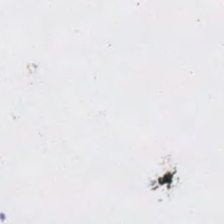Hematoxylin-and-eosin stained section. 0.5 µm per pixel. Content: background (no tissue).
